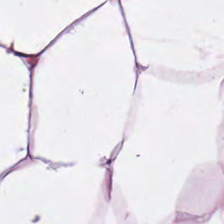The tissue here is adipose.
